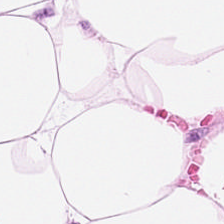H&E patch showing adipose tissue.
